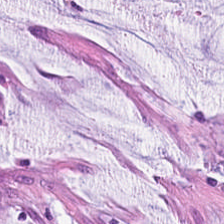Predominantly mucus.
